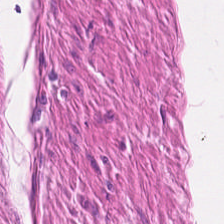H&E.
This field is muscularis.
